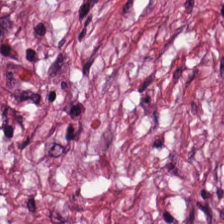Hematoxylin-and-eosin stained section. This patch shows tumor stroma.
